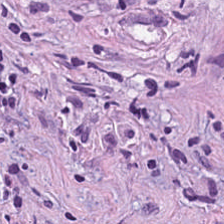H&E-stained tissue section; 224×224 pixel tile.
Histology → tumor stroma.
